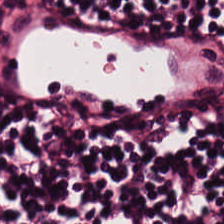Hematoxylin-and-eosin stained section. FFPE — Showing lymphoid infiltrate.
